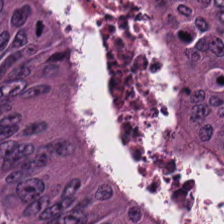Hematoxylin-and-eosin stained section. 0.5 µm per pixel. Brightfield.
Q: Identify the tissue.
A: Colorectal adenocarcinoma epithelium.
